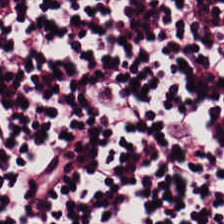H&E; 224×224 pixel tile.
Lymphocyte aggregate.
